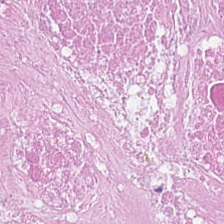Tissue class: cellular debris.
